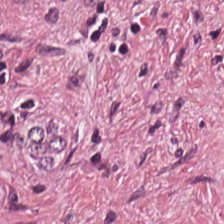Hematoxylin and eosin. Tissue class = cancer-associated stroma.
